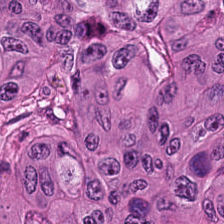Hematoxylin-and-eosin stained section; formalin-fixed paraffin-embedded section. Q: What is the predominant tissue type?
A: It is colorectal adenocarcinoma.
